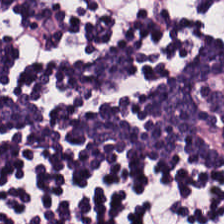Hematoxylin and eosin; brightfield microscopy; 224×224 px patch — Classification: lymphocyte aggregate.
